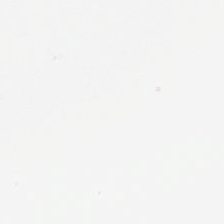H&E stain · 0.5 microns per pixel — {"content": "no tissue"}
